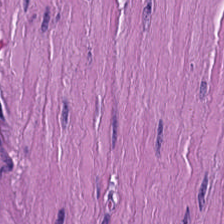FFPE tissue section. Hematoxylin-and-eosin stained section. 0.5 µm/px.
Finding → smooth-muscle tissue.
